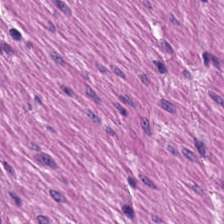FFPE; H&E-stained tissue section — Impression — smooth-muscle tissue.
